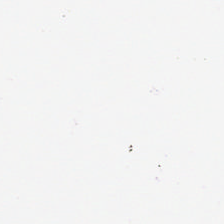Stain: hematoxylin and eosin.
Content: background (no tissue).
